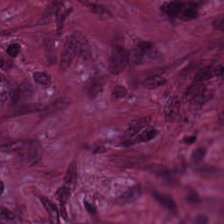H&E-stained tissue section. Q: What tissue is shown?
A: This is tumor stroma.
